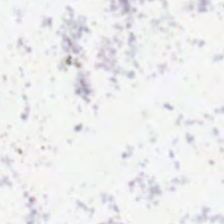H&E. Brightfield microscopy.
No tissue present; background only.
